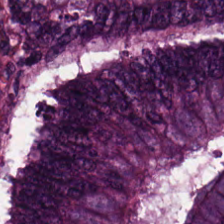Histology — tumor epithelium.
